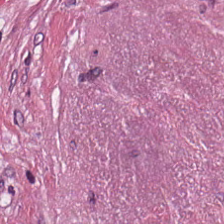Stain: H&E stain.
Preparation: FFPE tissue section.
Acquisition: brightfield microscopy.
Tissue type: tumor stroma.
